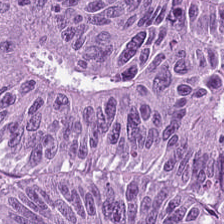Brightfield · hematoxylin and eosin · 224×224 px patch — Q: What does this patch show?
A: Colorectal adenocarcinoma.
